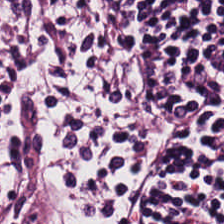H&E-stained tissue section — Lymphocytic infiltrate.
